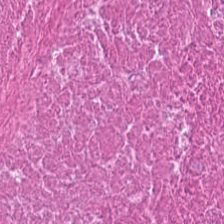This field is necrotic debris.
